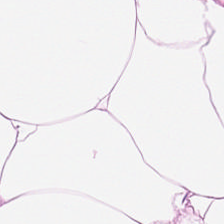H&E stain; 224×224 pixel tile; 0.5 microns per pixel.
Tissue class: adipose.
